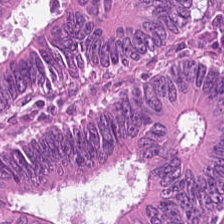H&E stain — Q: Identify the tissue.
A: It is tumor epithelium.
